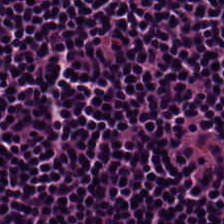224×224 px patch. H&E-stained tissue section. WSI patch — This field is lymphoid infiltrate.
